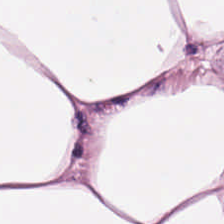H&E-stained tissue section.
Showing adipose tissue.
